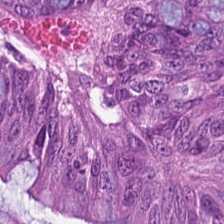The tissue type is malignant epithelium.
